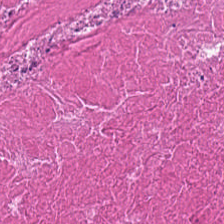H&E-stained tissue section · whole-slide-image patch · formalin-fixed paraffin-embedded section. Q: What type of tissue is this?
A: The field shows necrotic debris.
